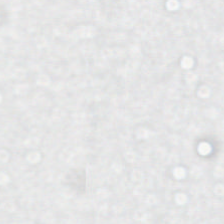Hematoxylin-and-eosin stained section. Classification — empty background.
